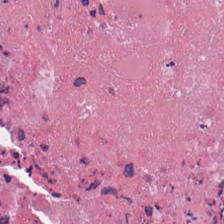H&E stain. Brightfield microscopy — Tissue type — cellular debris.
